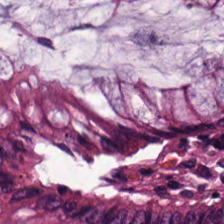H&E-stained tissue section. Brightfield. 0.5 µm per pixel.
Finding — normal colonic mucosa.
